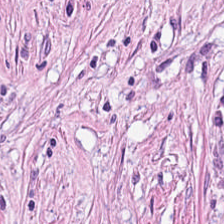H&E stain. The tissue is desmoplastic stroma.
